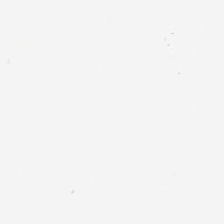Finding — background (no tissue).
